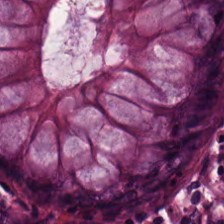This field is non-neoplastic colon mucosa.
